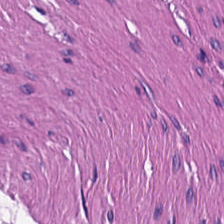Hematoxylin and eosin; formalin-fixed paraffin-embedded section — Finding — smooth-muscle tissue.
